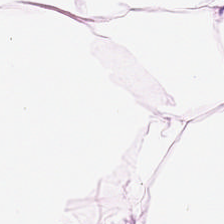Hematoxylin-and-eosin stained section. 224×224 px tile. Finding → adipocytes.
